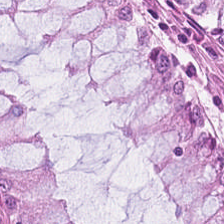{"tissue_type": "normal colonic mucosa"}
